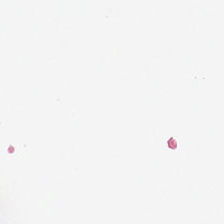H&E stain. The field content is background.
